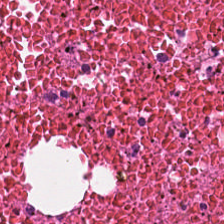Hematoxylin and eosin · 0.5 µm/px — {"tissue_type": "cellular debris"}
